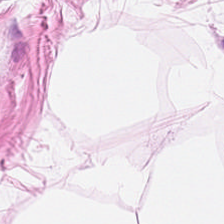H&E stain. This field is adipose.
